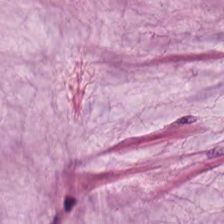224×224 pixel tile; FFPE; hematoxylin-and-eosin stained section — Histology — mucus.
